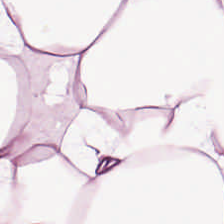FFPE tissue section · H&E. Finding — adipocytes.
